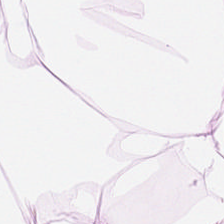H&E-stained tissue section. {"tissue_type": "adipose tissue"}
